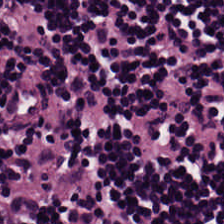Hematoxylin and eosin — {"tissue_type": "lymphocytic infiltrate"}
